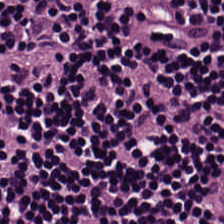Lymphocytic infiltrate.
